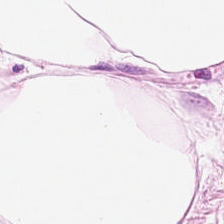224×224 pixel tile · H&E — {"tissue_type": "adipocytes"}
